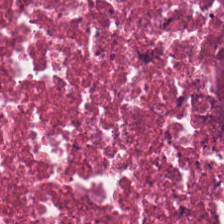Brightfield; 0.5 µm/px; H&E-stained tissue section.
{"tissue_type": "necrotic debris"}
